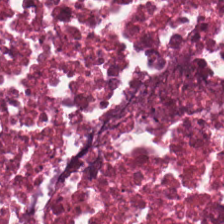H&E — This field is cellular debris.
